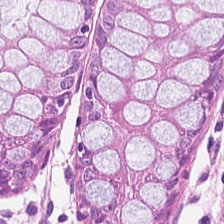Hematoxylin-and-eosin stained section.
The predominant tissue is benign colonic mucosa.
